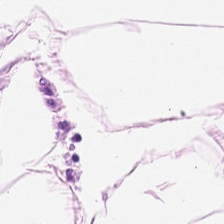Hematoxylin and eosin. This field is adipose.
